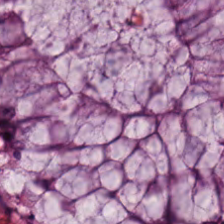H&E.
Impression → normal colon mucosa.
